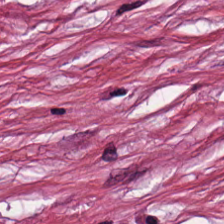224×224 px patch; 20× equivalent magnification; hematoxylin and eosin — Showing desmoplastic stroma.
